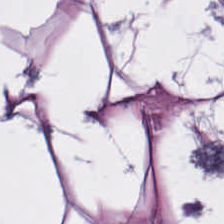20× equivalent magnification. H&E stain. Q: What tissue type is shown here?
A: Adipocytes.
